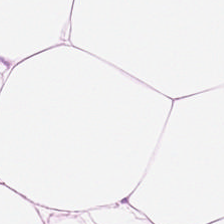H&E — adipose tissue.
